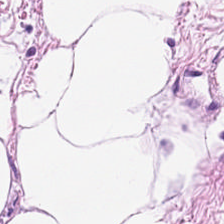H&E stain. Tissue type — adipose tissue.
